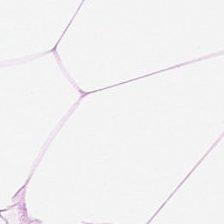H&E stain. Finding — fat tissue.
